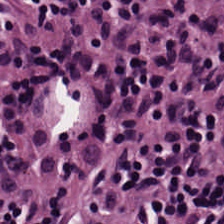Hematoxylin-and-eosin stained section — Q: What is shown in this field?
A: Lymphocytic infiltrate.
